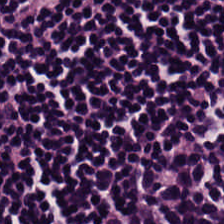WSI patch. H&E. The predominant tissue is lymphocytes.
